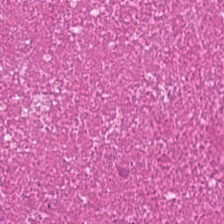Hematoxylin and eosin; FFPE. Histology — necrotic debris.
